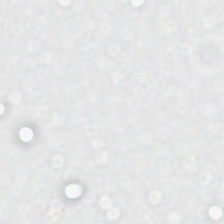Stain: hematoxylin and eosin.
Classification: empty background.
